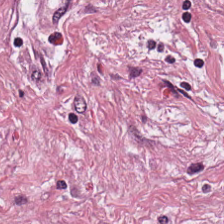H&E. Predominant tissue — cancer-associated stroma.
